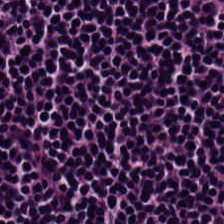The tissue type is lymphocytes.
